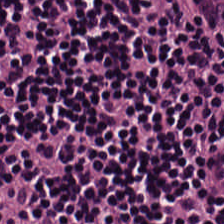Tissue type — lymphocytes.
